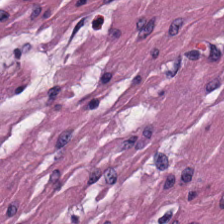Brightfield microscopy; hematoxylin-and-eosin stained section. The predominant tissue is smooth muscle.
